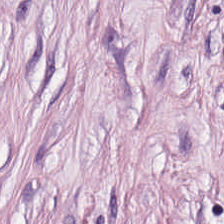H&E stain; 20× equivalent magnification; 224×224 px tile — The predominant tissue is desmoplastic stroma.
